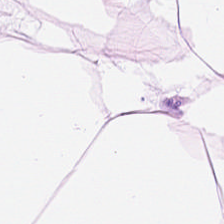H&E-stained tissue section. FFPE — Predominantly fat tissue.
